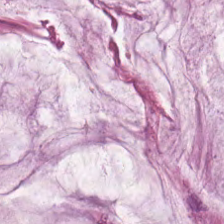H&E-stained tissue section. 0.5 microns per pixel. Brightfield microscopy. {"tissue_type": "mucus"}
